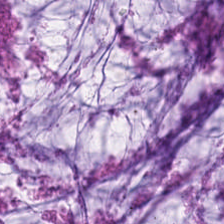20× equivalent magnification; H&E stain. Q: Classify this patch.
A: The field shows mucus.
